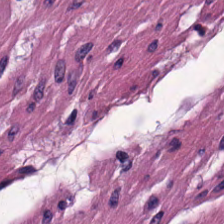The tissue class is muscularis.
